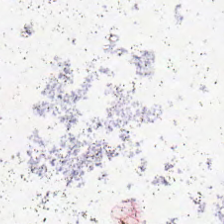H&E stain — Classification: empty background.
